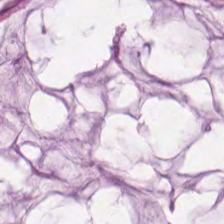20× equivalent magnification. H&E-stained tissue section — Q: Classify this patch.
A: It is extracellular mucin.
